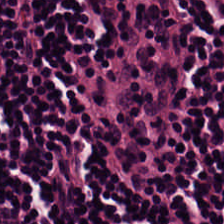Stain: hematoxylin and eosin.
Tissue class: lymphocytic infiltrate.
